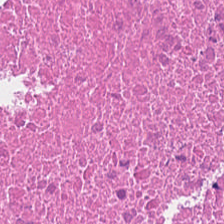H&E stain. The predominant tissue is cellular debris.
